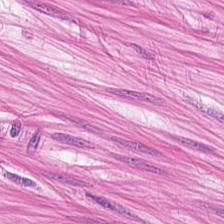H&E.
Predominant tissue — smooth-muscle tissue.
